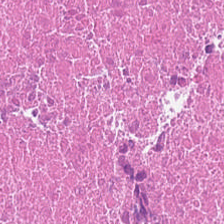224×224 px tile · hematoxylin and eosin. Tissue class: cellular debris.
